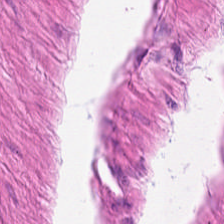Hematoxylin and eosin — Q: What is the predominant tissue type?
A: Smooth muscle.
